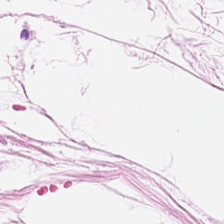H&E-stained tissue section. This patch shows adipocytes.
